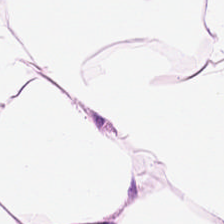Stain: hematoxylin-and-eosin stained section.
Resolution: 0.5 µm per pixel.
Classification: fat tissue.
